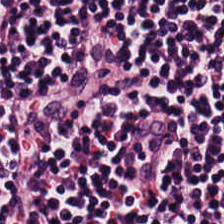H&E.
This field is lymphoid infiltrate.
